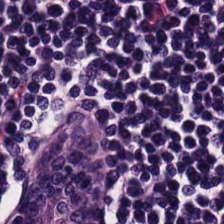FFPE · hematoxylin-and-eosin stained section. Q: What is the predominant tissue type?
A: Lymphocyte aggregate.
